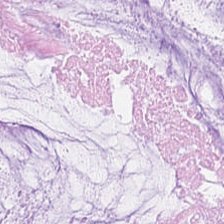FFPE tissue section. 224×224 px patch. Hematoxylin-and-eosin stained section — Mucus.
